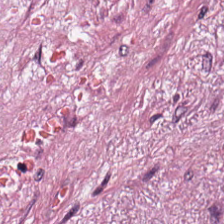Hematoxylin-and-eosin stained section. Predominant tissue = tumor-associated stroma.
